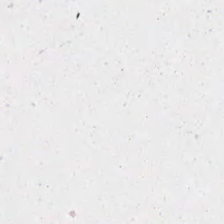Hematoxylin and eosin · 224×224 px tile.
Impression → background.
